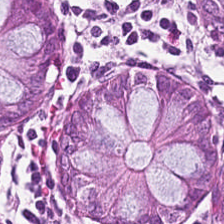Tissue class = non-neoplastic colon mucosa.
